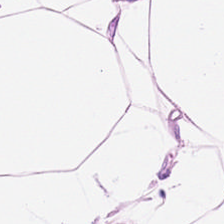FFPE tissue section. H&E stain. This patch shows fat tissue.
